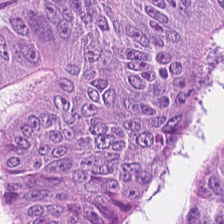H&E. 224×224 pixel tile.
Q: Classify this patch.
A: The field shows tumor epithelium.
